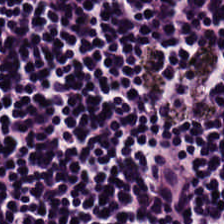20× equivalent magnification. H&E.
Q: What tissue type is shown here?
A: This is lymphocytic infiltrate.
